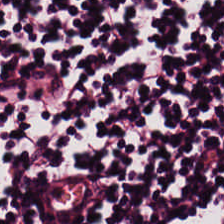H&E-stained tissue section — Finding — lymphoid infiltrate.
